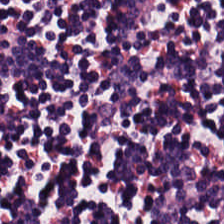Hematoxylin and eosin. Formalin-fixed paraffin-embedded section — Classification: lymphocytic infiltrate.
